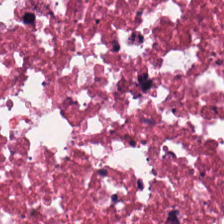Hematoxylin-and-eosin stained section; whole-slide-image patch; formalin-fixed paraffin-embedded section. Predominant tissue: cellular debris.
